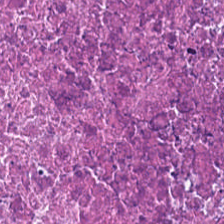{"tissue_type": "debris"}
